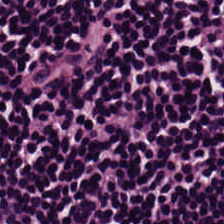Hematoxylin-and-eosin stained section — The tissue here is lymphocytic infiltrate.
